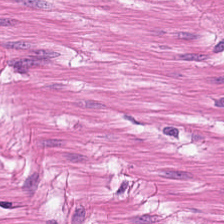0.5 µm per pixel. H&E. FFPE. Predominant tissue — smooth-muscle tissue.
